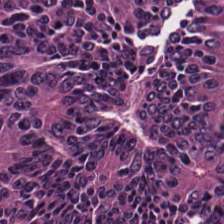Hematoxylin and eosin.
Histology — colorectal adenocarcinoma.
